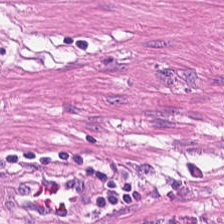Smooth-muscle tissue.
